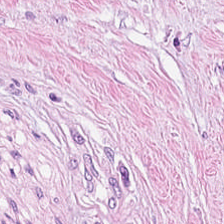H&E-stained tissue section; FFPE tissue section — The tissue type is tumor stroma.
